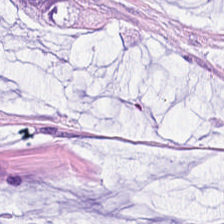Hematoxylin-and-eosin stained section.
Q: What does this patch show?
A: This is mucin.
